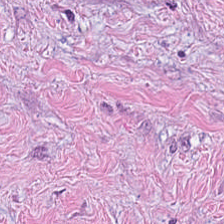Stain: H&E stain.
Classification: cancer-associated stroma.
